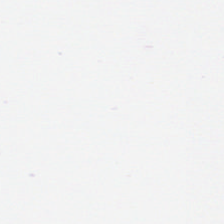Whole-slide-image patch · H&E-stained tissue section.
Empty field — empty background.
